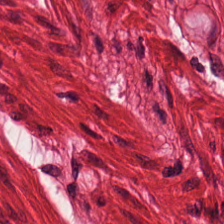H&E.
Q: What type of tissue is this?
A: The field shows muscularis.
